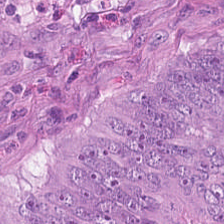H&E-stained tissue section. 20× equivalent magnification. Impression → tumor epithelium.
